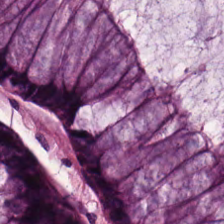Brightfield; 224×224 px tile; H&E — The predominant tissue is normal colon mucosa.
